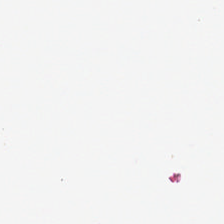Stain: H&E.
Classification: background.
